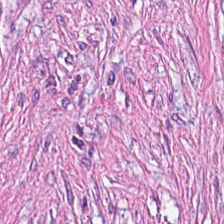Stain: hematoxylin-and-eosin stained section.
Classification: cancer-associated stroma.
